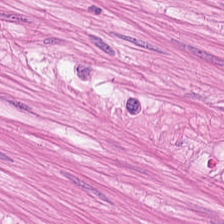0.5 µm/px. H&E stain. 224×224 px patch.
Q: What tissue type is shown here?
A: The field shows muscularis.
